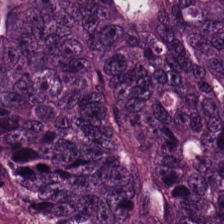20× equivalent magnification · hematoxylin-and-eosin stained section · 224×224 px tile — Predominant tissue: adenocarcinoma.
